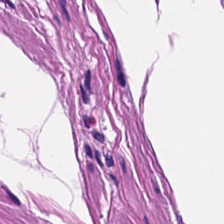H&E stain · 20× equivalent magnification. Predominantly smooth-muscle tissue.
